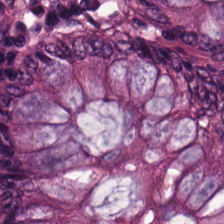H&E patch showing non-neoplastic colon mucosa.
